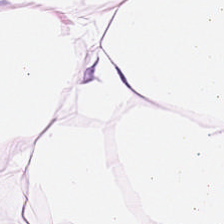224×224 px patch · H&E stain.
Adipose.
